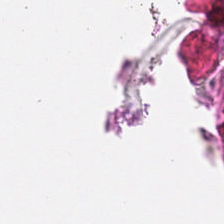H&E stain · 224×224 px tile. Q: What is shown here?
A: Empty background.
